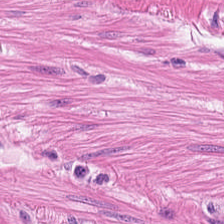Stain: H&E.
Tissue type: smooth-muscle tissue.
